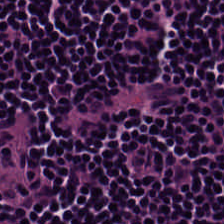20× equivalent magnification; H&E-stained tissue section.
The predominant tissue is lymphoid infiltrate.
